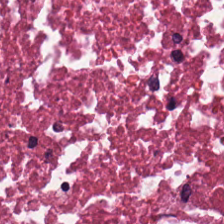Stain: hematoxylin-and-eosin stained section.
Tissue: cellular debris.
